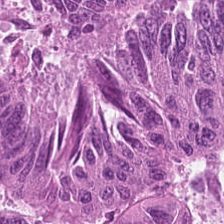20× equivalent magnification · FFPE tissue section · H&E.
This field is malignant epithelium.
